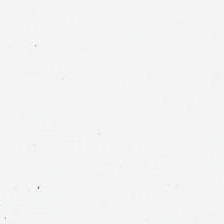H&E — No tissue present; background only.
